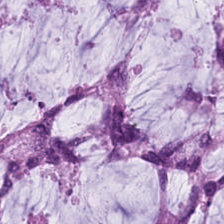H&E · FFPE — Classification = mucus.
